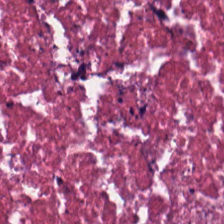Showing debris.
